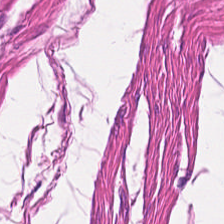H&E stain · 20× equivalent magnification.
Muscularis.
